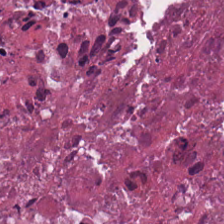Debris.
